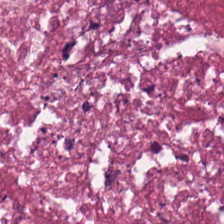Histology → debris.
